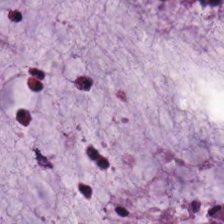224×224 pixel tile; formalin-fixed paraffin-embedded section; hematoxylin-and-eosin stained section — This patch shows mucus.
